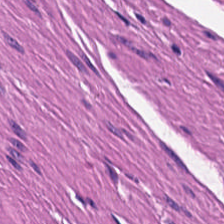Hematoxylin and eosin. Finding → muscularis.
